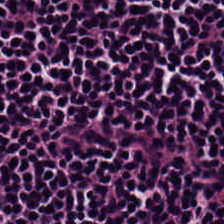Tissue class: lymphocytes.
